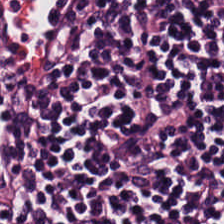Stain: H&E stain.
Acquisition: brightfield microscopy.
Preparation: formalin-fixed paraffin-embedded section.
Tissue class: lymphoid infiltrate.
